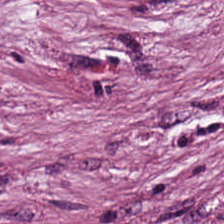Stain: H&E-stained tissue section.
Preparation: FFPE tissue section.
Tissue class: cancer-associated stroma.
